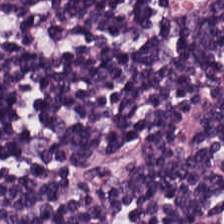224×224 pixel tile. Hematoxylin-and-eosin stained section. Brightfield. This patch shows lymphocytes.
